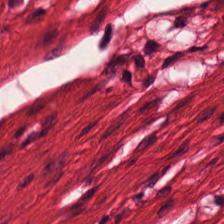H&E.
The predominant tissue is muscularis.
